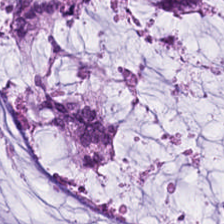H&E-stained tissue section; FFPE. Predominantly extracellular mucin.
